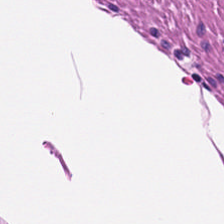Predominant tissue — smooth-muscle tissue.
